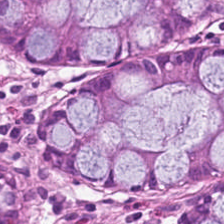Hematoxylin-and-eosin stained section; whole-slide-image patch. The tissue class is normal colonic mucosa.
